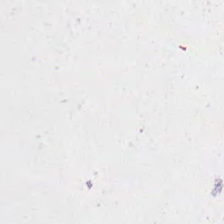Stain: hematoxylin and eosin.
Content: empty background.
